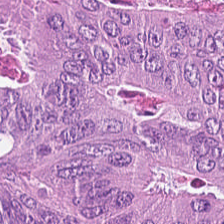The classification is colorectal adenocarcinoma.
